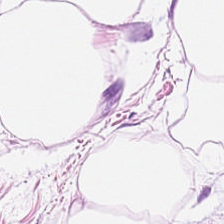Hematoxylin and eosin; brightfield — Tissue type = adipose tissue.
